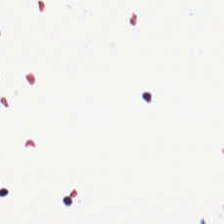Impression — empty background.
